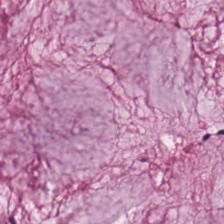H&E-stained tissue section. Formalin-fixed paraffin-embedded section.
Finding → extracellular mucin.
